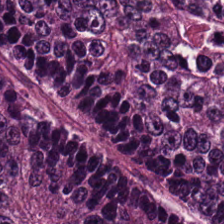Hematoxylin-and-eosin stained section. Q: What does this patch show?
A: Colorectal adenocarcinoma epithelium.
